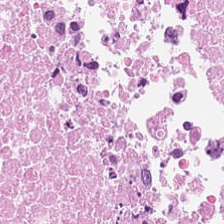Stain: H&E.
Predominant tissue: necrotic debris.
